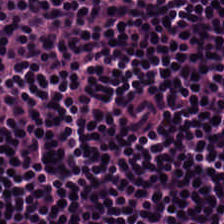Showing lymphocytic infiltrate.
